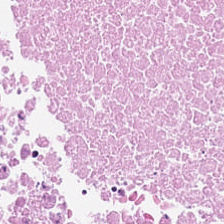H&E — Tissue = cellular debris.
